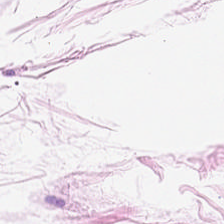Whole-slide-image patch. H&E. 0.5 microns per pixel.
Tissue = adipose tissue.
